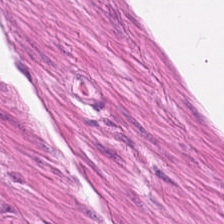Hematoxylin and eosin; whole-slide-image patch. This patch shows smooth-muscle tissue.
